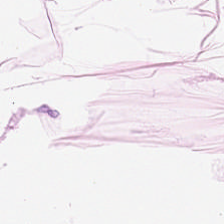H&E stain — Adipose.
